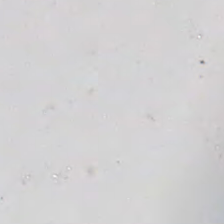H&E — Field content — background.
